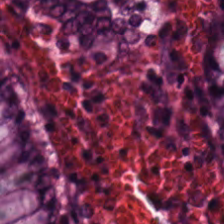Hematoxylin-and-eosin stained section.
This patch shows normal colon mucosa.
